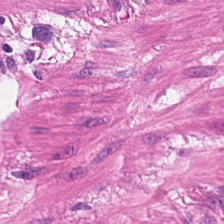FFPE · 224×224 px tile · H&E stain. Q: What is shown here?
A: Muscularis.
